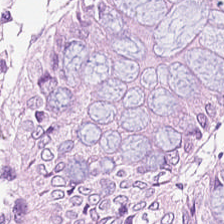Hematoxylin-and-eosin stained section. Formalin-fixed paraffin-embedded section — Predominant tissue — normal colonic mucosa.
